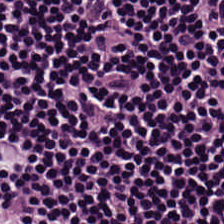Hematoxylin and eosin.
This field is lymphocytic infiltrate.
